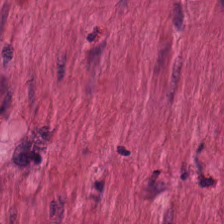Showing smooth-muscle tissue.
